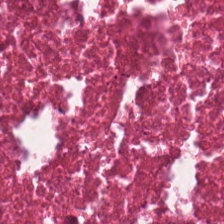Hematoxylin and eosin. The predominant tissue is debris.
